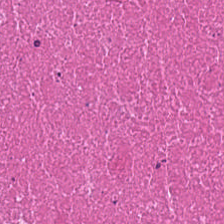Hematoxylin and eosin.
Tissue: necrotic debris.
